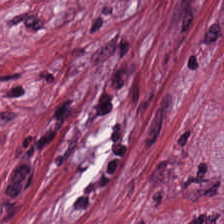Stain: H&E.
Resolution: 20× equivalent magnification.
Preparation: formalin-fixed paraffin-embedded section.
Tissue class: cancer-associated stroma.
